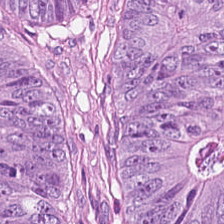H&E-stained tissue section · 224×224 px patch. Histology → colorectal adenocarcinoma epithelium.
